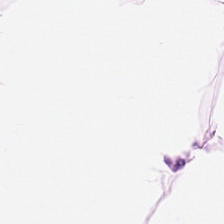H&E stain — This field is adipose tissue.
